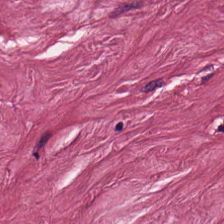H&E stain. Tissue = desmoplastic stroma.
